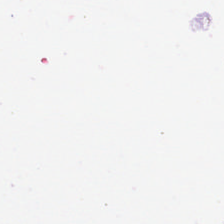H&E.
Classification — background.
